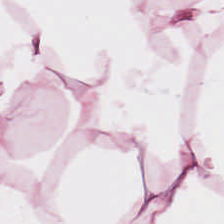H&E.
Adipose tissue.
